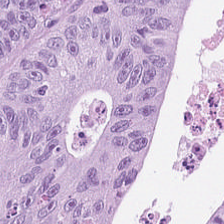H&E-stained tissue section.
This field is malignant epithelium.
